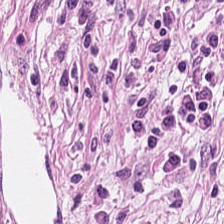H&E-stained tissue section.
Classification: desmoplastic stroma.
